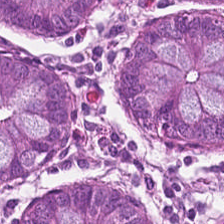Tissue type: benign colonic mucosa.
